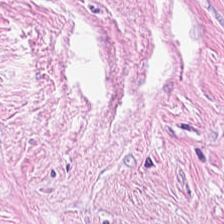{"tissue_type": "tumor stroma"}
